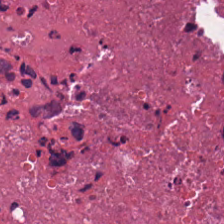Hematoxylin and eosin — The tissue here is necrotic debris.
